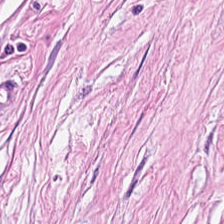Stain: H&E.
Tissue type: desmoplastic stroma.
